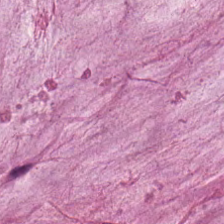0.5 µm per pixel; hematoxylin and eosin. The tissue is extracellular mucin.
